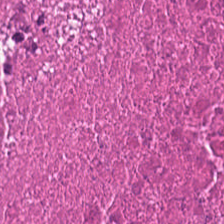224×224 px patch · formalin-fixed paraffin-embedded section · hematoxylin-and-eosin stained section.
This field is necrotic debris.
